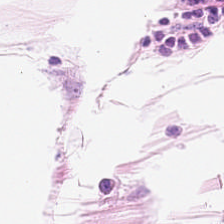224×224 px tile; hematoxylin-and-eosin stained section; formalin-fixed paraffin-embedded section. Tissue type = adipose.
